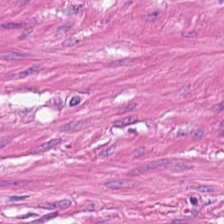Hematoxylin and eosin. This field is muscularis.
